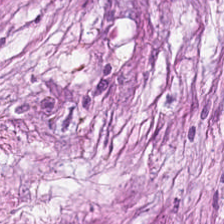0.5 µm per pixel · H&E · 224×224 pixel tile — Classification = tumor-associated stroma.
